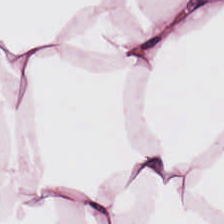Tissue class = adipose.
